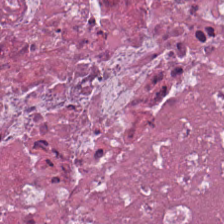Finding → cellular debris.
